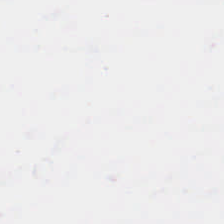H&E. Q: What is shown here?
A: No tissue.
